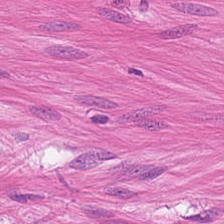H&E stain.
Smooth-muscle tissue.
